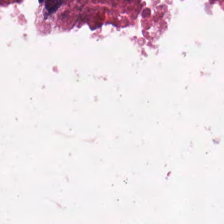H&E; whole-slide-image patch. The tissue here is debris.
